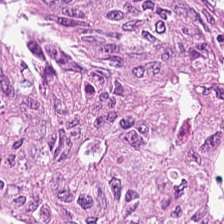Impression → tumor epithelium.
